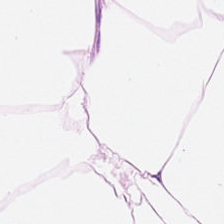Hematoxylin and eosin — Showing adipose tissue.
